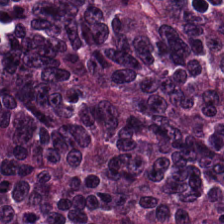Colorectal adenocarcinoma epithelium.
